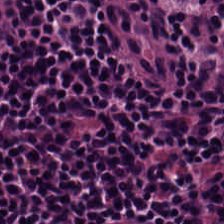The predominant tissue is lymphoid infiltrate.
